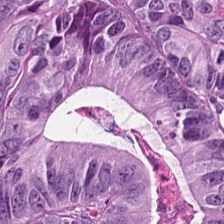H&E.
Impression — colorectal adenocarcinoma.
